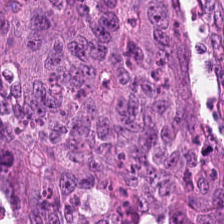H&E — Finding → colorectal adenocarcinoma epithelium.
